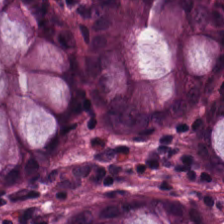Hematoxylin-and-eosin stained section. Q: What type of tissue is this?
A: The field shows benign colonic mucosa.
